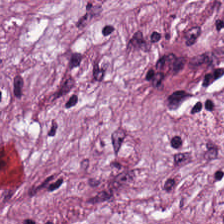Tissue = cancer-associated stroma.
